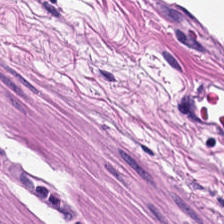Impression — smooth muscle.
